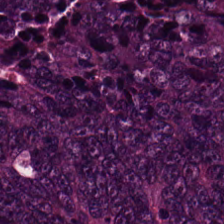Stain: H&E.
Tissue class: colorectal adenocarcinoma epithelium.
